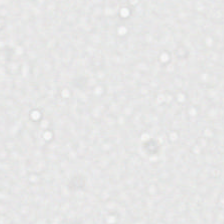0.5 µm per pixel; H&E; brightfield microscopy. Field content — empty background.
